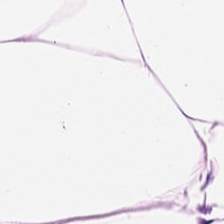Hematoxylin and eosin.
This patch shows adipocytes.
